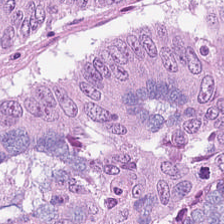Hematoxylin-and-eosin stained section. Histology — malignant epithelium.
